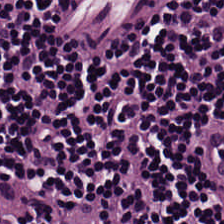Finding → lymphocytic infiltrate.
